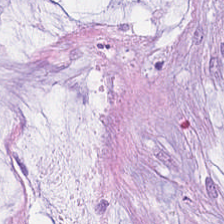Formalin-fixed paraffin-embedded section · H&E. The predominant tissue is mucus.
